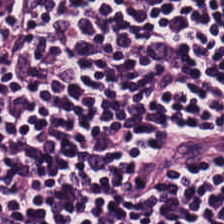Histology — lymphocytes.
